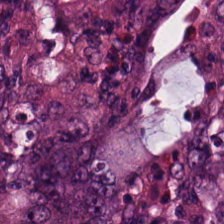Brightfield · H&E — The predominant tissue is adenocarcinoma.
